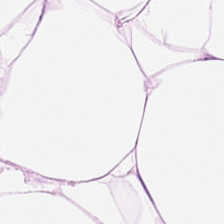Hematoxylin and eosin · whole-slide-image patch — Predominantly adipocytes.
